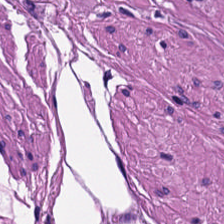This patch shows smooth muscle.
